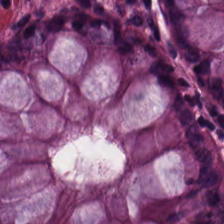Hematoxylin-and-eosin stained section; brightfield. Finding — benign colonic mucosa.
